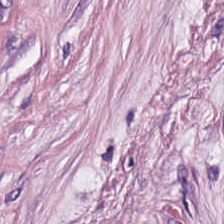Hematoxylin-and-eosin stained section.
Impression — desmoplastic stroma.
